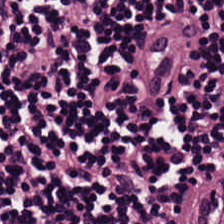H&E-stained tissue section.
This field is lymphocytes.
